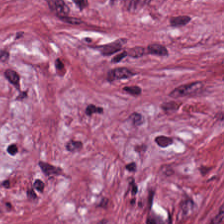The tissue here is cancer-associated stroma.
